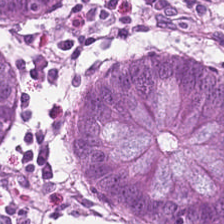Hematoxylin and eosin — The tissue type is normal colonic mucosa.
